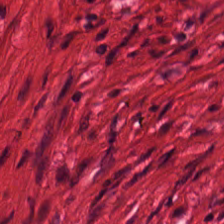FFPE tissue section; H&E stain; 224×224 px tile. Classification: smooth muscle.
